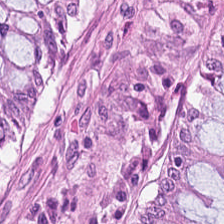Hematoxylin and eosin. Q: What tissue type is shown here?
A: The field shows non-neoplastic colon mucosa.
